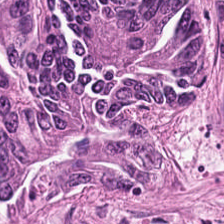0.5 microns per pixel. H&E-stained tissue section. This field is tumor epithelium.
